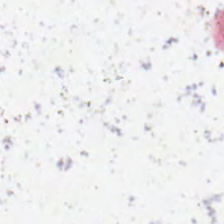Hematoxylin-and-eosin stained section — Impression — background.
